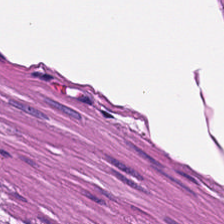0.5 µm per pixel. Brightfield. Hematoxylin and eosin.
This patch shows smooth-muscle tissue.
